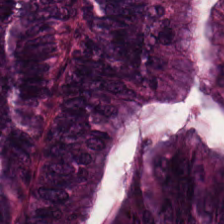20× equivalent magnification. Hematoxylin and eosin. Predominantly colorectal adenocarcinoma.
